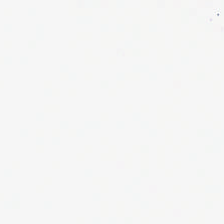Q: Classify this patch.
A: This is background.
